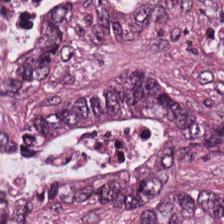Hematoxylin and eosin — {"tissue_type": "tumor epithelium"}
